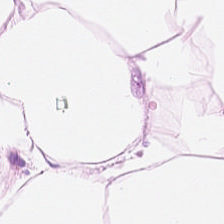Finding → adipose.
